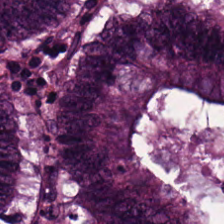Hematoxylin-and-eosin stained section — Impression → colorectal adenocarcinoma epithelium.
